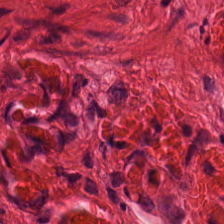Formalin-fixed paraffin-embedded section; H&E; 224×224 pixel tile.
{"tissue_type": "smooth-muscle tissue"}
